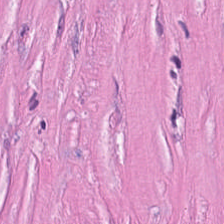Formalin-fixed paraffin-embedded section. Hematoxylin and eosin — Q: What is shown in this field?
A: The field shows cancer-associated stroma.
